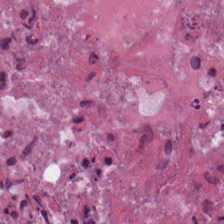Stain: hematoxylin-and-eosin stained section.
Tissue type: debris.
